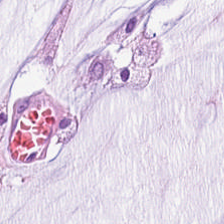Q: What tissue type is shown here?
A: This is mucus.
